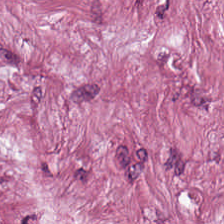Brightfield microscopy. Hematoxylin-and-eosin stained section — Q: Identify the tissue.
A: The field shows tumor-associated stroma.
